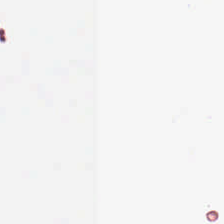This field is background (no tissue).
